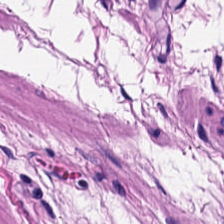224×224 px patch; H&E stain; FFPE.
Predominantly smooth-muscle tissue.
